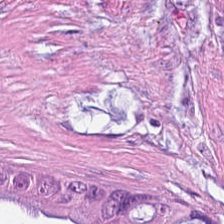The predominant tissue is mucin.
